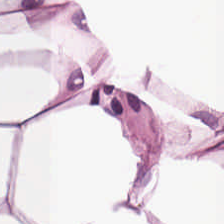Whole-slide-image patch · hematoxylin-and-eosin stained section — Q: What type of tissue is this?
A: It is adipocytes.
